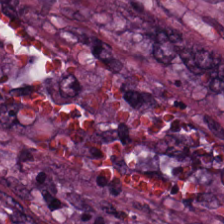H&E-stained tissue section showing colorectal adenocarcinoma.
